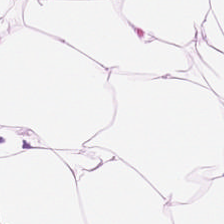H&E.
Tissue = adipose tissue.
